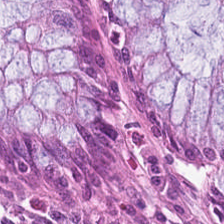H&E-stained tissue section — Q: Identify the tissue.
A: Benign colonic mucosa.
